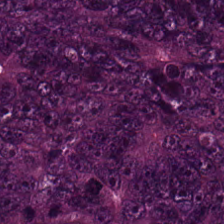This field is tumor epithelium.
